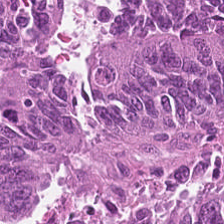Hematoxylin and eosin. The tissue here is adenocarcinoma.
